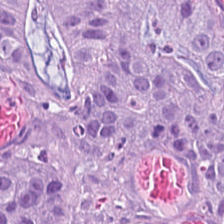Adenocarcinoma.
